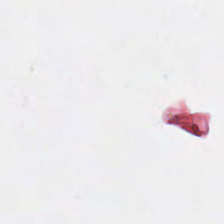Hematoxylin and eosin · 0.5 microns per pixel — Q: What does this patch show?
A: This is background (no tissue).
